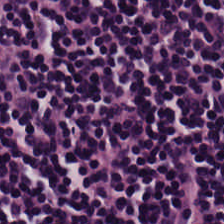FFPE. H&E-stained tissue section. Predominantly lymphocyte aggregate.
